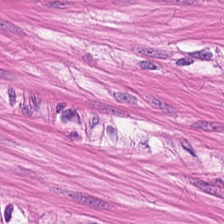H&E — Smooth-muscle tissue.
